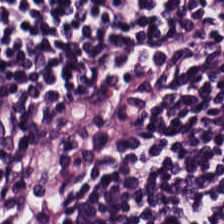H&E; whole-slide-image patch; 0.5 microns per pixel. The tissue here is lymphocytes.
